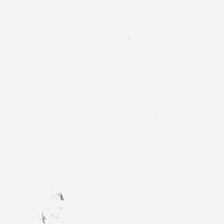Classification: background (no tissue).
